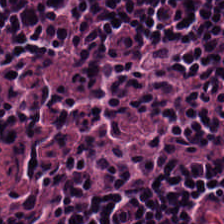H&E-stained tissue section. The tissue type is lymphocytes.
